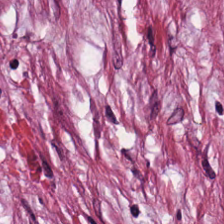H&E-stained tissue section. Showing tumor stroma.
